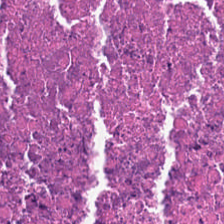Stain: hematoxylin and eosin.
Tissue type: cellular debris.
